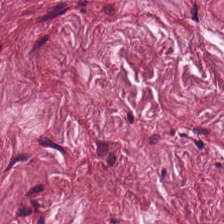Hematoxylin and eosin · 224×224 pixel tile — This field is tumor-associated stroma.
